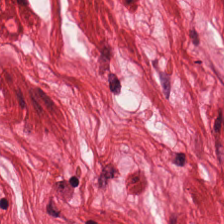H&E-stained section; the field shows smooth muscle.
